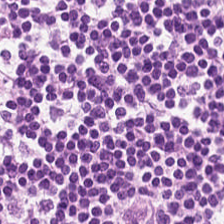Stain: H&E-stained tissue section.
Tissue type: lymphocyte aggregate.
